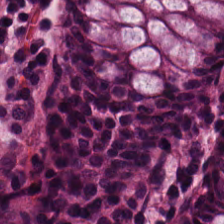{"tissue_type": "normal colon mucosa"}
